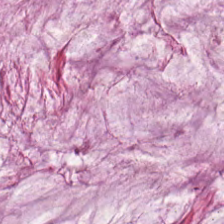Q: Classify this patch.
A: Extracellular mucin.
